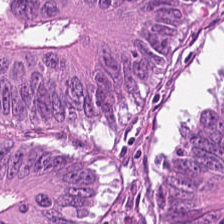Stain: H&E stain.
Tissue class: adenocarcinoma.
